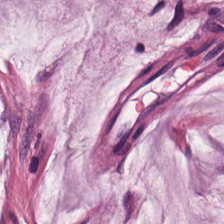Histology → mucus.
